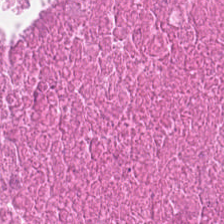H&E stain. Histology → cellular debris.
